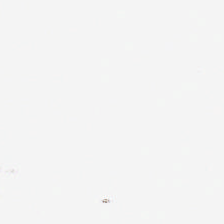H&E. Empty field — background.
